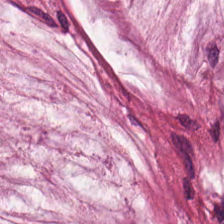H&E.
This field is mucus.
